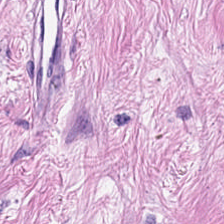The tissue here is desmoplastic stroma.
